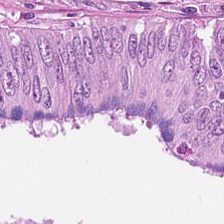The predominant tissue is colorectal adenocarcinoma.
